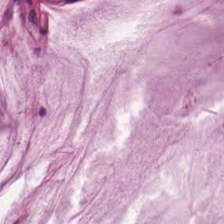Brightfield microscopy. H&E-stained tissue section.
Predominant tissue = mucin.
